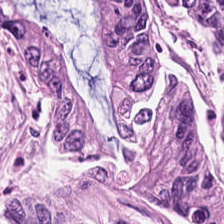The tissue class is adenocarcinoma.
